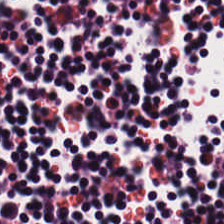FFPE tissue section. H&E-stained tissue section. {"tissue_type": "lymphocytic infiltrate"}
